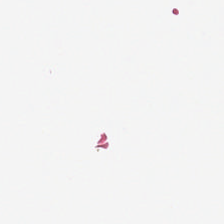H&E; whole-slide-image patch — Q: Classify this patch.
A: This is background.
